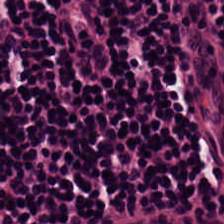Brightfield microscopy · hematoxylin and eosin. Predominant tissue = lymphocyte aggregate.
